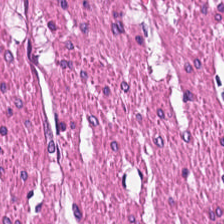H&E-stained tissue section — Predominantly smooth-muscle tissue.
